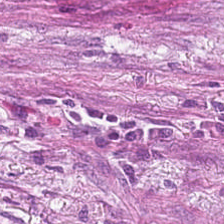Formalin-fixed paraffin-embedded section. H&E. 224×224 pixel tile.
Tissue class = cancer-associated stroma.
